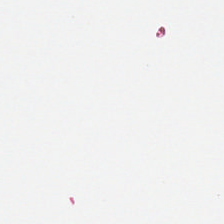Field content: empty background.
